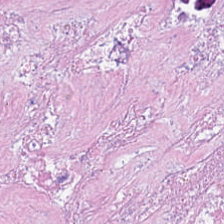H&E stain.
Tissue type = debris.
